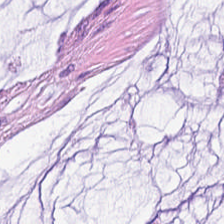Stain: H&E.
Acquisition: brightfield.
Preparation: FFPE.
Tissue type: mucin.
